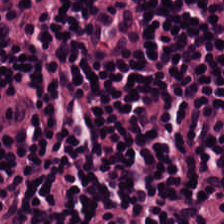The predominant tissue is lymphoid infiltrate.
